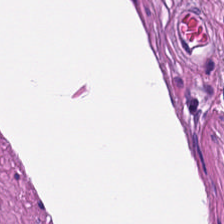H&E stain. 224×224 px tile — This field is smooth-muscle tissue.
